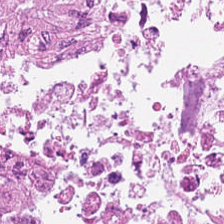Stain: H&E.
Tile size: 224×224 px patch.
Resolution: 0.5 µm per pixel.
Classification: colorectal adenocarcinoma epithelium.
